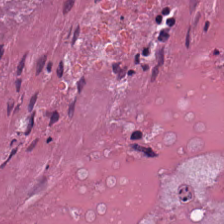WSI patch; hematoxylin-and-eosin stained section.
Tissue — necrotic debris.
